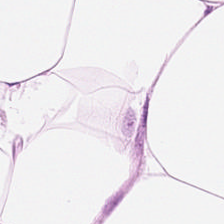This patch shows adipose tissue.
